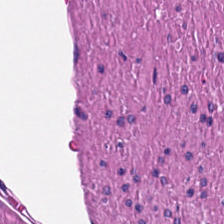20× equivalent magnification. H&E — Q: What is shown in this field?
A: This is smooth muscle.
